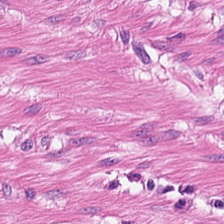Hematoxylin-and-eosin stained section. Q: What type of tissue is this?
A: This is muscularis.
